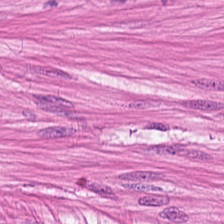H&E-stained tissue section.
Finding → smooth-muscle tissue.
